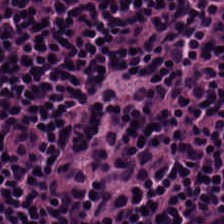Impression — lymphoid infiltrate.
